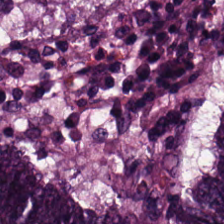H&E · 224×224 px tile — Colorectal adenocarcinoma.
